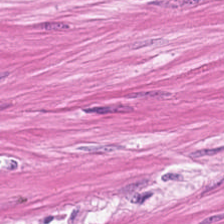20× equivalent magnification; hematoxylin-and-eosin stained section.
Q: What type of tissue is this?
A: It is smooth muscle.
